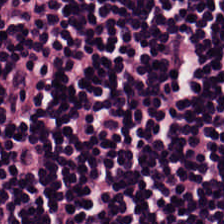Stain: H&E.
Tissue: lymphocytic infiltrate.
